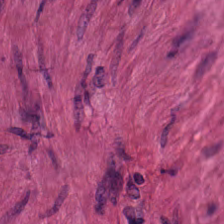H&E — Tissue type = smooth-muscle tissue.
